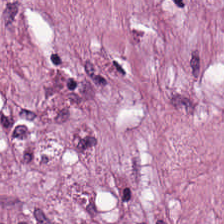Hematoxylin-and-eosin stained section; 224×224 px tile.
Finding → tumor-associated stroma.
